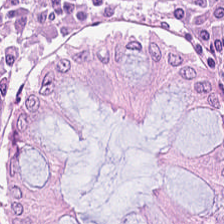Hematoxylin and eosin. Q: What type of tissue is this?
A: Benign colonic mucosa.
